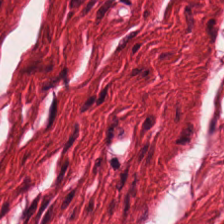Classification = smooth-muscle tissue.
